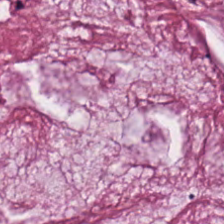H&E stain — This patch shows mucus.
